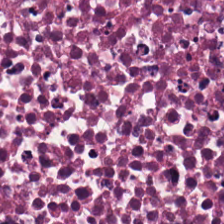H&E. Tissue class — cellular debris.
